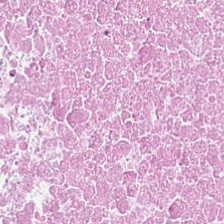H&E patch showing debris.
